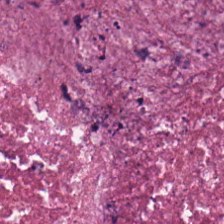Stain: H&E-stained tissue section.
Resolution: 20× equivalent magnification.
Classification: necrotic debris.
